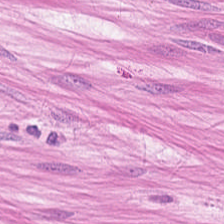H&E stain — This field is muscularis.
